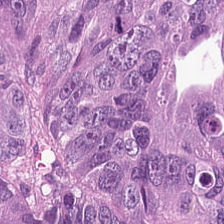Hematoxylin-and-eosin stained section. Impression — colorectal adenocarcinoma.
